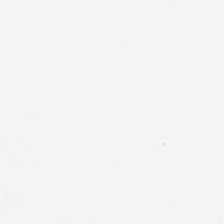H&E.
Background — no tissue in this field.
